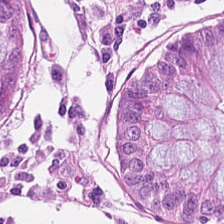Stain: H&E.
Resolution: 0.5 microns per pixel.
Tissue: non-neoplastic colon mucosa.
